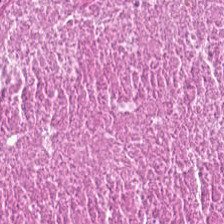H&E — cellular debris.
